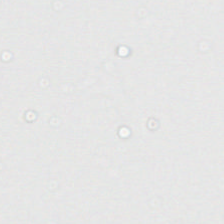WSI patch · hematoxylin and eosin — Field content: empty background.
